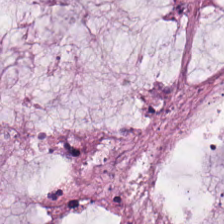H&E-stained tissue section. This field is mucus.
